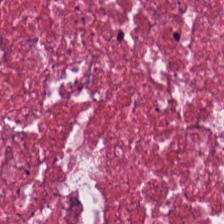H&E-stained tissue section; whole-slide-image patch.
Histology — tumor stroma.
